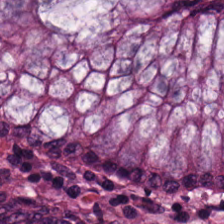Hematoxylin and eosin — The tissue here is normal colon mucosa.
